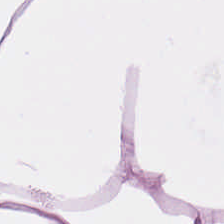The tissue is adipose tissue.
